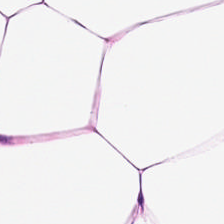Hematoxylin and eosin · brightfield · FFPE — This patch shows fat tissue.
